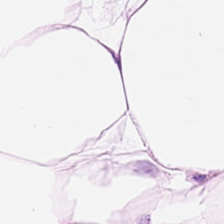H&E stain — Q: What is shown here?
A: It is adipose.
